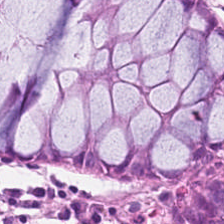20× equivalent magnification. 224×224 pixel tile. Hematoxylin and eosin.
Q: What is shown here?
A: Normal colonic mucosa.
